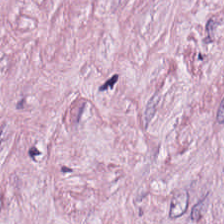H&E-stained tissue section. Classification: tumor-associated stroma.
